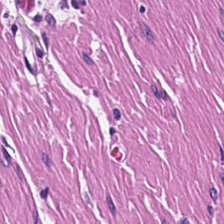H&E stain · formalin-fixed paraffin-embedded section.
Predominantly muscularis.
